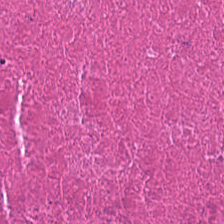Stain: hematoxylin and eosin.
Tile size: 224×224 pixel tile.
Tissue class: cellular debris.
